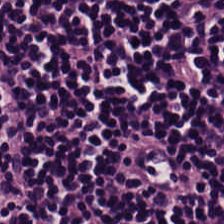H&E stain — The tissue type is lymphocyte aggregate.
